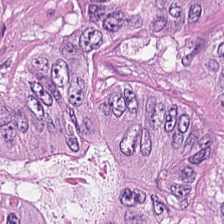WSI patch. Hematoxylin-and-eosin stained section. FFPE tissue section. The predominant tissue is colorectal adenocarcinoma.
